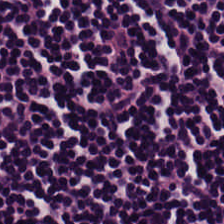Hematoxylin and eosin. The tissue class is lymphocyte aggregate.
